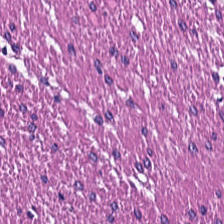H&E. Q: What tissue is shown?
A: Smooth muscle.
